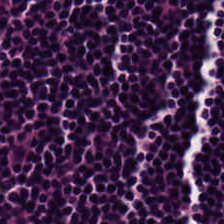WSI patch · 224×224 pixel tile · hematoxylin and eosin — This field is lymphocyte aggregate.
